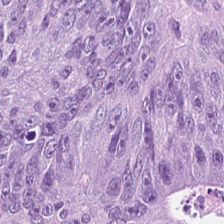H&E-stained tissue section · FFPE tissue section · brightfield microscopy — {"tissue_type": "colorectal adenocarcinoma"}
